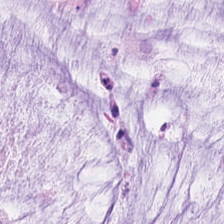224×224 px patch; hematoxylin-and-eosin stained section — The tissue here is mucin.
